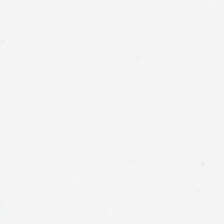H&E.
Q: What is shown in this field?
A: Background (no tissue).
